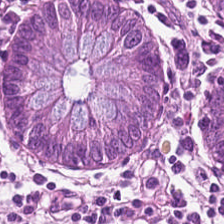224×224 pixel tile · WSI patch · hematoxylin-and-eosin stained section. Q: What tissue is shown?
A: It is benign colonic mucosa.
